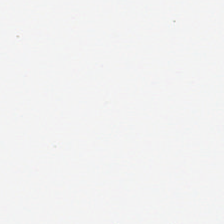H&E stain — Q: What does this patch show?
A: This is background.
